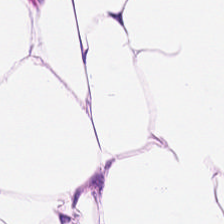The tissue is adipose.
